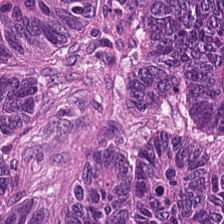Hematoxylin-and-eosin stained section; 0.5 microns per pixel; FFPE tissue section.
Q: What tissue is shown?
A: The field shows malignant epithelium.
